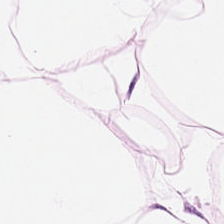Stain: hematoxylin-and-eosin stained section.
Tissue type: adipose.
